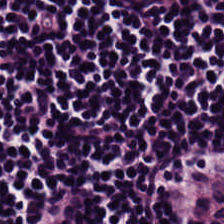Whole-slide-image patch; hematoxylin-and-eosin stained section. Q: What type of tissue is this?
A: Lymphocytes.
